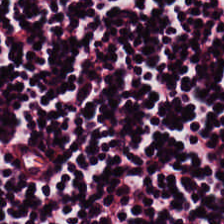Hematoxylin-and-eosin stained section.
{"tissue_type": "lymphoid infiltrate"}
